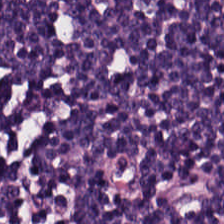Stain: hematoxylin and eosin.
Acquisition: brightfield.
Tissue class: lymphocytes.
